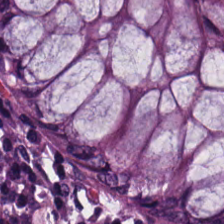H&E. 20× equivalent magnification. 224×224 pixel tile.
This patch shows normal colonic mucosa.
